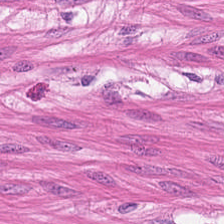Q: What is shown in this field?
A: This is smooth muscle.
